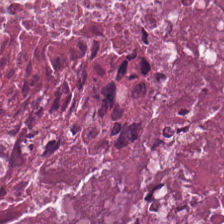Hematoxylin-and-eosin stained section; 20× equivalent magnification; 224×224 pixel tile.
Q: What is shown here?
A: This is necrotic debris.
